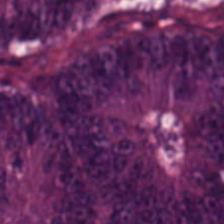Hematoxylin and eosin. 224×224 px patch. Brightfield. The tissue here is colorectal adenocarcinoma epithelium.
